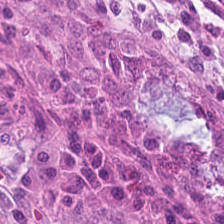H&E patch showing normal colonic mucosa.
